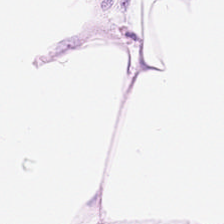H&E-stained tissue section — Showing fat tissue.
